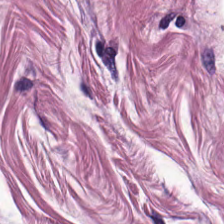WSI patch · hematoxylin-and-eosin stained section · formalin-fixed paraffin-embedded section — Q: What is the predominant tissue type?
A: This is smooth muscle.
